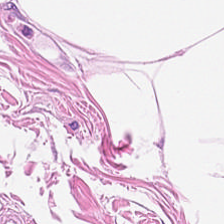H&E.
Q: What is the predominant tissue type?
A: It is adipocytes.
